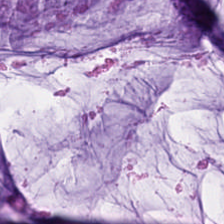Finding → mucus.
